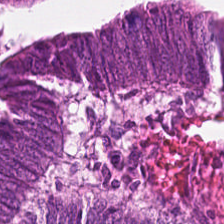Impression — tumor epithelium.
